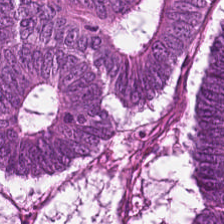224×224 px patch · hematoxylin and eosin · FFPE.
Q: Identify the tissue.
A: The field shows colorectal adenocarcinoma epithelium.
